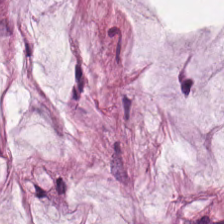224×224 pixel tile; H&E stain; 0.5 µm/px.
This patch shows mucin.
